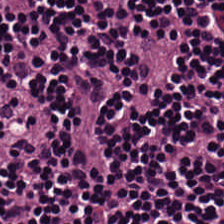H&E stain — Tissue: lymphocytic infiltrate.
